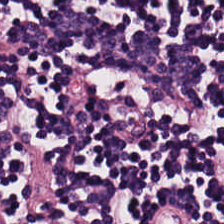Histology → lymphoid infiltrate.
